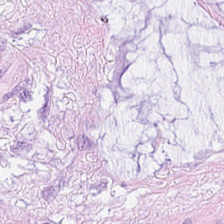H&E patch showing mucin.
